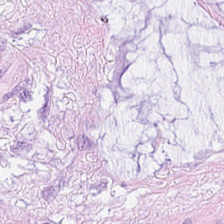H&E patch showing mucin.
